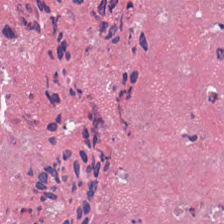224×224 pixel tile. Hematoxylin and eosin.
Tissue type = necrotic debris.
